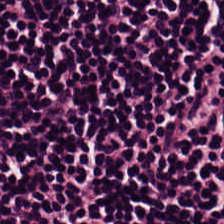Stain: H&E.
Tile size: 224×224 px tile.
Acquisition: brightfield.
Predominant tissue: lymphocyte aggregate.
